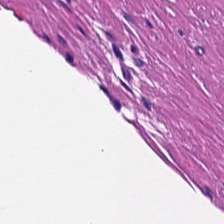H&E stain — Classification = smooth muscle.
